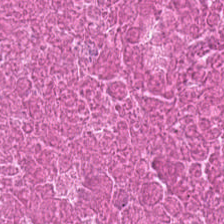Stain: H&E.
Tissue class: cellular debris.
